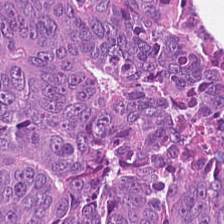0.5 µm per pixel · 224×224 px tile · H&E-stained tissue section.
The predominant tissue is malignant epithelium.
